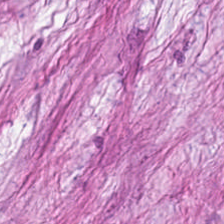H&E stain. 20× equivalent magnification — Finding — cancer-associated stroma.
